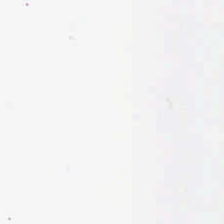H&E-stained tissue section. This patch shows background (no tissue).
